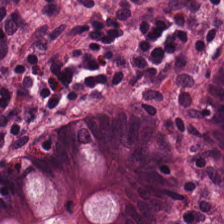H&E stain — The tissue here is normal colonic mucosa.
